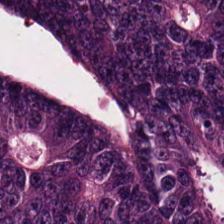Formalin-fixed paraffin-embedded section; H&E; 0.5 microns per pixel.
Tissue — colorectal adenocarcinoma.
